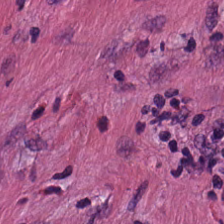Q: What type of tissue is this?
A: The field shows tumor-associated stroma.
